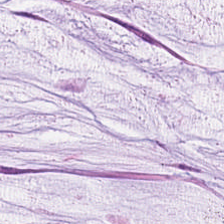Tissue = mucin.
